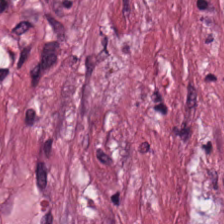Stain: H&E-stained tissue section.
Tile size: 224×224 px patch.
Tissue: cancer-associated stroma.
